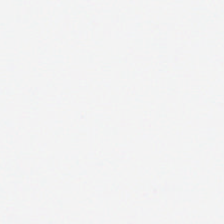H&E stain — Background — no tissue in this field.
